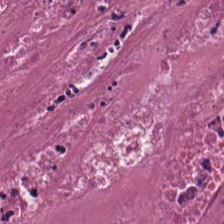Q: What is shown here?
A: The field shows cellular debris.
